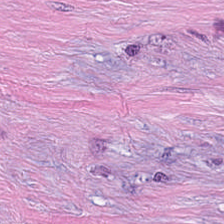This field is desmoplastic stroma.
